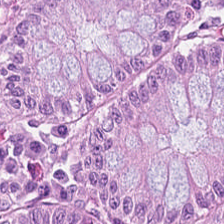Hematoxylin and eosin.
Showing non-neoplastic colon mucosa.
